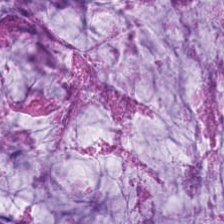Hematoxylin and eosin — This patch shows mucus.
